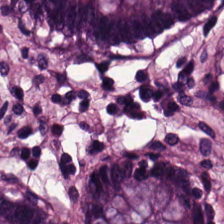Whole-slide-image patch; FFPE tissue section; H&E stain. Predominantly normal colonic mucosa.
